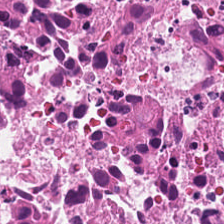The predominant tissue is debris.
